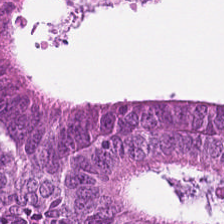H&E. Predominantly colorectal adenocarcinoma.
